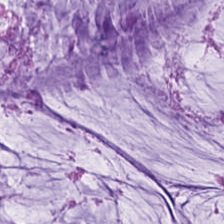Q: What does this patch show?
A: This is mucus.
